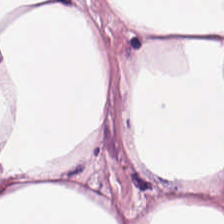Stain: H&E.
Resolution: 20× equivalent magnification.
Acquisition: brightfield microscopy.
Tissue class: adipose tissue.
